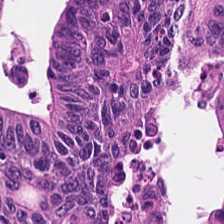{"tissue_type": "malignant epithelium"}
